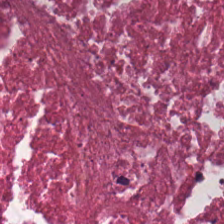224×224 pixel tile · H&E-stained tissue section. Q: What is shown in this field?
A: It is cellular debris.
